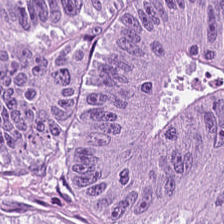Tissue type = colorectal adenocarcinoma.
